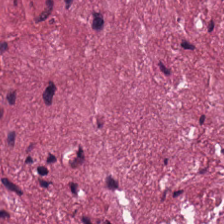H&E-stained tissue section.
Q: What type of tissue is this?
A: It is cancer-associated stroma.
